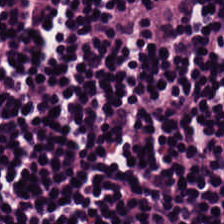Brightfield microscopy. Hematoxylin and eosin — The classification is lymphocytes.
